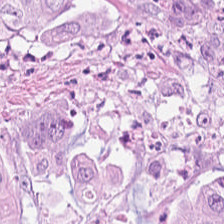Hematoxylin and eosin.
Tissue = tumor epithelium.
